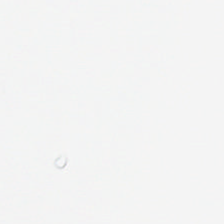224×224 px patch · H&E stain · 0.5 microns per pixel.
Background.
